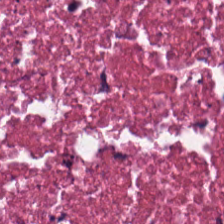Stain: hematoxylin-and-eosin stained section.
Resolution: 0.5 µm/px.
Predominant tissue: debris.
